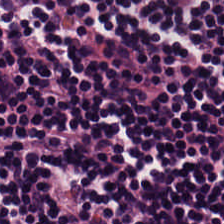H&E-stained tissue section.
The predominant tissue is lymphocytes.
